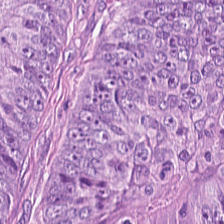H&E — {"tissue_type": "malignant epithelium"}
